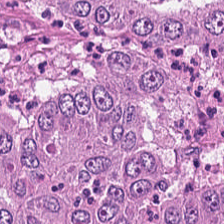FFPE tissue section · H&E.
This field is malignant epithelium.
